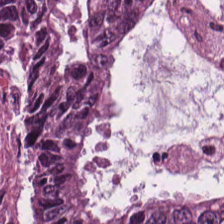Predominantly colorectal adenocarcinoma.
